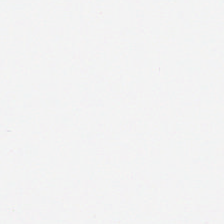{"content": "empty background"}
